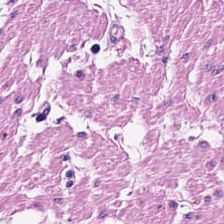H&E · 0.5 microns per pixel.
Q: What is shown here?
A: It is smooth muscle.
